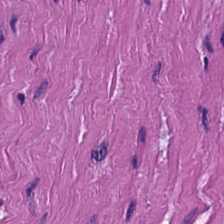Hematoxylin and eosin.
Classification — muscularis.
